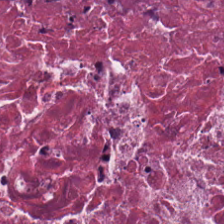This field is necrotic debris.
